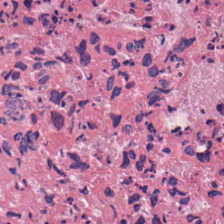Stain: H&E stain.
Tissue class: cellular debris.
